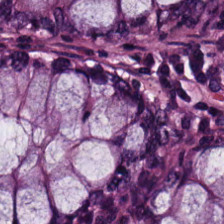H&E stain — Classification: normal colon mucosa.
